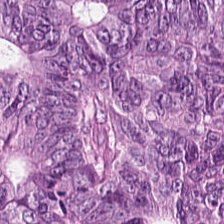H&E — {"tissue_type": "colorectal adenocarcinoma epithelium"}
